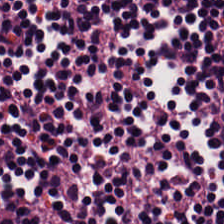H&E. Showing lymphocyte aggregate.
